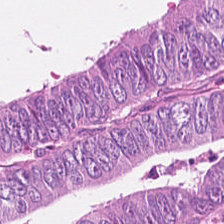FFPE. H&E stain. 224×224 px tile.
Impression → colorectal adenocarcinoma epithelium.
